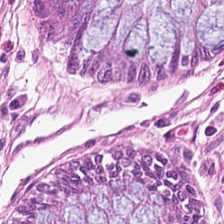Stain: hematoxylin-and-eosin stained section.
Preparation: FFPE tissue section.
Tissue type: normal colon mucosa.
